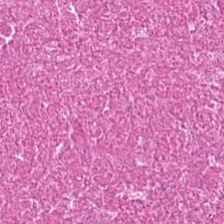Stain: H&E stain.
Tissue type: cellular debris.
